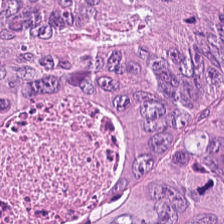224×224 px patch · formalin-fixed paraffin-embedded section · H&E-stained tissue section.
This patch shows colorectal adenocarcinoma epithelium.
